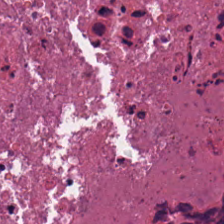H&E · 0.5 microns per pixel.
The predominant tissue is necrotic debris.
